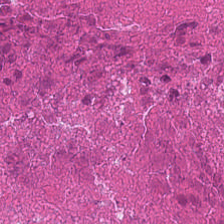The predominant tissue is necrotic debris.
